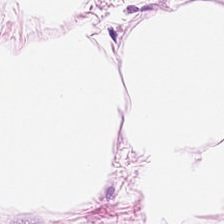Hematoxylin and eosin — Histology → adipocytes.
